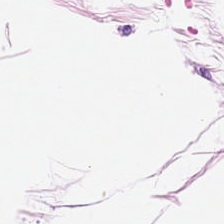224×224 px tile; 20× equivalent magnification; hematoxylin-and-eosin stained section — Predominantly adipose.
